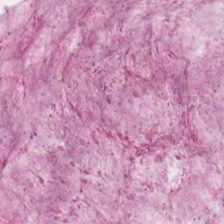H&E-stained tissue section · whole-slide-image patch.
Tissue type = mucus.
